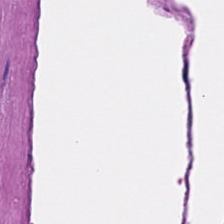FFPE; 224×224 px patch; H&E-stained tissue section.
Finding — muscularis.
